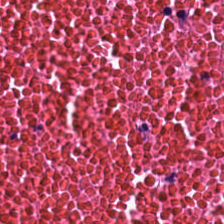Stain: hematoxylin and eosin.
Predominant tissue: necrotic debris.
